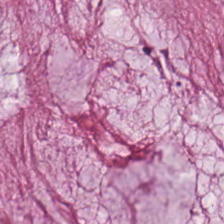Hematoxylin and eosin. Whole-slide-image patch — Mucus.
